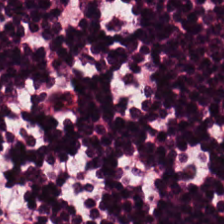H&E — Predominantly lymphocytes.
